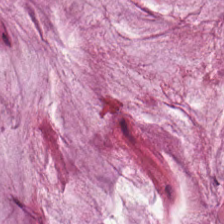Stain: H&E.
Tile size: 224×224 px tile.
Predominant tissue: mucus.
